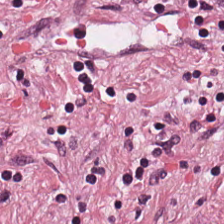H&E · 0.5 µm per pixel — The predominant tissue is tumor stroma.
